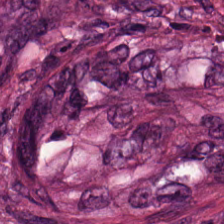H&E stain.
Q: What is shown here?
A: Tumor-associated stroma.
